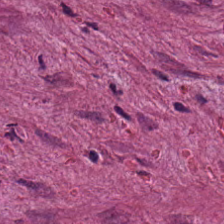Stain: hematoxylin-and-eosin stained section.
Classification: tumor-associated stroma.
